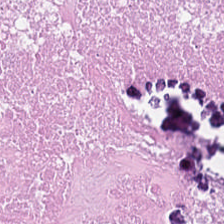H&E stain · WSI patch.
Q: What does this patch show?
A: This is debris.
